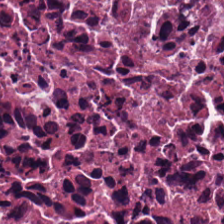Stain: H&E stain.
Acquisition: whole-slide-image patch.
Predominant tissue: cellular debris.
